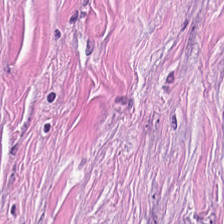Hematoxylin-and-eosin section: cancer-associated stroma.
